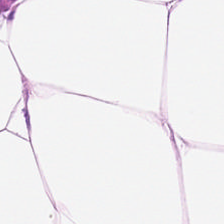H&E stain — Predominantly adipocytes.
